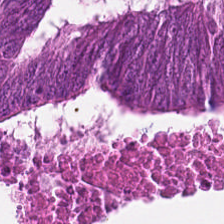Brightfield · 20× equivalent magnification · H&E.
Q: What is shown in this field?
A: It is colorectal adenocarcinoma.
